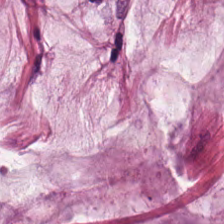H&E — mucus.
